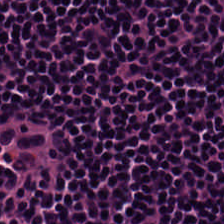FFPE. H&E stain. 224×224 pixel tile.
Lymphocyte aggregate.
